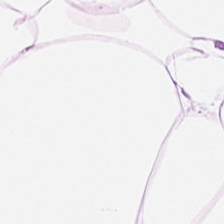Brightfield microscopy · hematoxylin and eosin. This field is adipose tissue.
